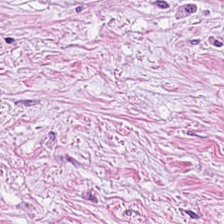FFPE tissue section. Hematoxylin and eosin.
Cancer-associated stroma.
